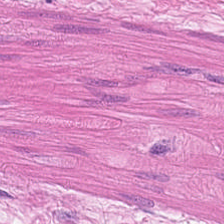0.5 µm per pixel · H&E stain.
{"tissue_type": "smooth-muscle tissue"}
